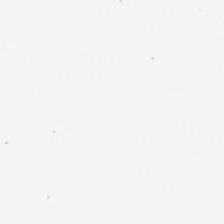The classification is background (no tissue).
